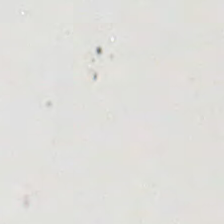H&E-stained tissue section.
Histology — background (no tissue).
